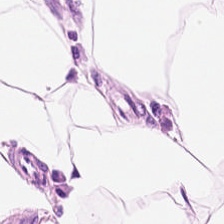This field is fat tissue.
